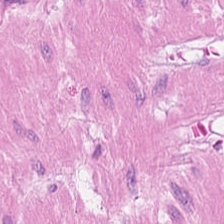Stain: H&E.
Tissue: smooth muscle.
